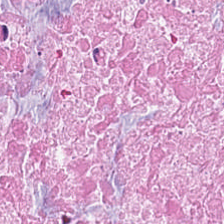Hematoxylin and eosin. Necrotic debris.
